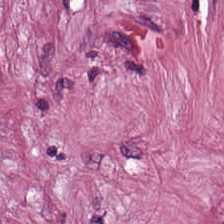20× equivalent magnification · hematoxylin and eosin. Tissue = tumor stroma.
